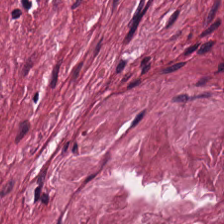H&E-stained tissue section.
This patch shows tumor stroma.
